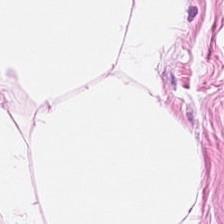Finding — adipose.
